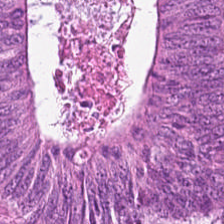This field is adenocarcinoma.
